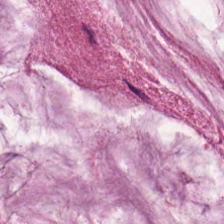H&E stain · 224×224 px patch — Q: What type of tissue is this?
A: Mucin.
